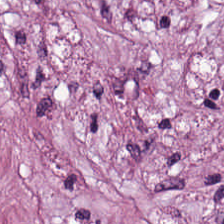The predominant tissue is tumor-associated stroma.
